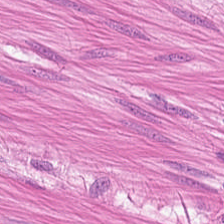H&E. 0.5 microns per pixel.
Predominantly smooth-muscle tissue.
